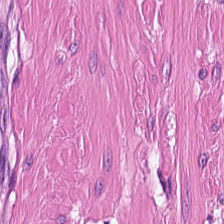Hematoxylin-and-eosin stained section. Formalin-fixed paraffin-embedded section — The predominant tissue is muscularis.
